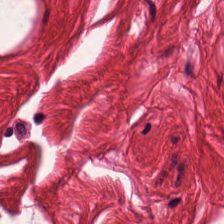Hematoxylin and eosin — This field is smooth-muscle tissue.
